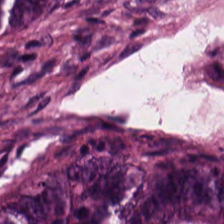H&E stain. Predominant tissue = colorectal adenocarcinoma epithelium.
